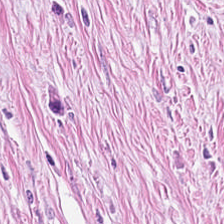H&E-stained tissue section · brightfield — The tissue here is tumor-associated stroma.
